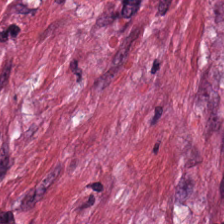The tissue here is tumor-associated stroma.
